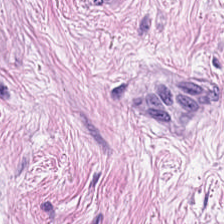Hematoxylin and eosin. Brightfield microscopy. Histology — tumor stroma.
